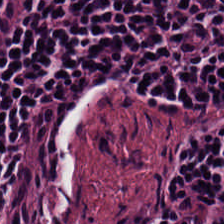Hematoxylin and eosin · brightfield microscopy — Q: Identify the tissue.
A: This is lymphoid infiltrate.
